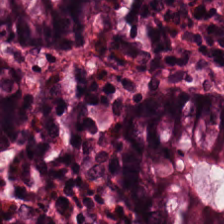H&E stain; formalin-fixed paraffin-embedded section; 0.5 µm per pixel. Showing non-neoplastic colon mucosa.
